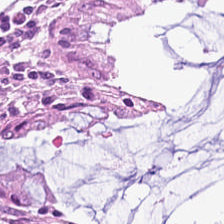Brightfield. Hematoxylin-and-eosin stained section — Tissue type — normal colonic mucosa.
